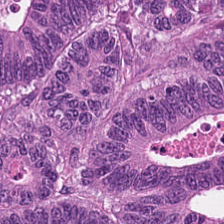H&E stain.
Finding — tumor epithelium.
